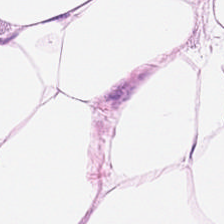The tissue here is adipocytes.
